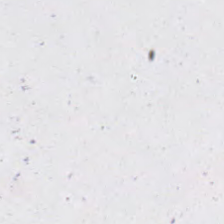Stain: hematoxylin and eosin.
Classification: empty background.
